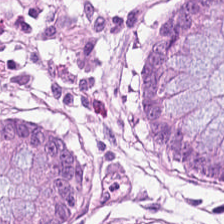This field is normal colon mucosa.
